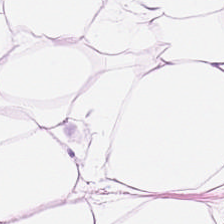H&E stain. Impression — adipose tissue.
